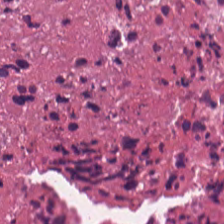H&E-stained tissue section; 0.5 µm per pixel; brightfield microscopy — The predominant tissue is necrotic debris.
